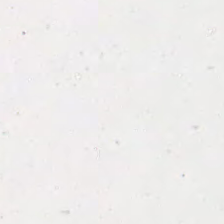Hematoxylin and eosin.
Empty field — background.
